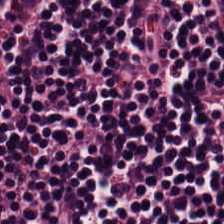Whole-slide-image patch. H&E stain. FFPE tissue section — Showing lymphocyte aggregate.
